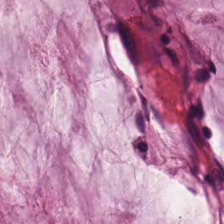H&E-stained tissue section. The predominant tissue is mucin.
